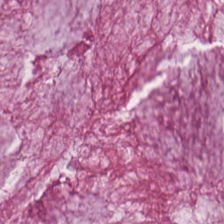Brightfield microscopy; 224×224 px tile; H&E stain. Tissue type: extracellular mucin.
